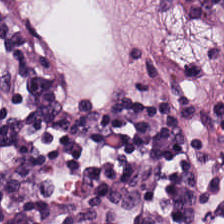Stain: H&E stain.
Resolution: 0.5 µm per pixel.
Acquisition: brightfield.
Predominant tissue: lymphocyte aggregate.
